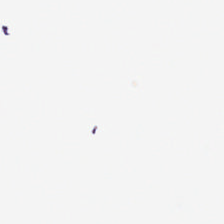Hematoxylin and eosin; 0.5 µm per pixel — Background — no tissue in this field.
